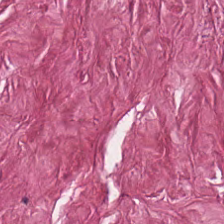Hematoxylin-and-eosin stained section. Tissue = tumor stroma.
